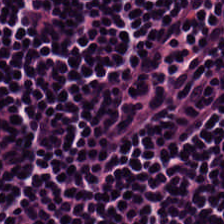Hematoxylin and eosin.
Tissue class = lymphoid infiltrate.
